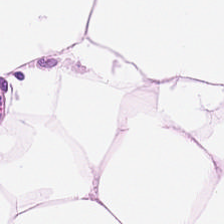Brightfield microscopy; H&E.
Tissue type: adipose tissue.
